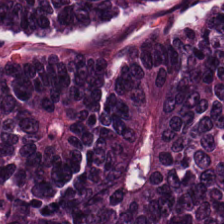WSI patch. Hematoxylin-and-eosin stained section. 20× equivalent magnification.
The tissue here is colorectal adenocarcinoma.
